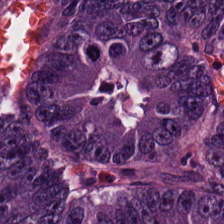0.5 µm/px. H&E-stained tissue section.
The tissue type is malignant epithelium.
